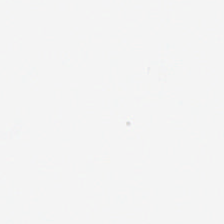Hematoxylin and eosin. Q: What is shown here?
A: It is no tissue.
